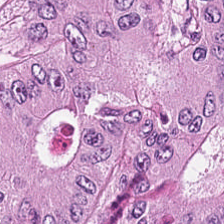H&E-stained tissue section.
The tissue here is colorectal adenocarcinoma epithelium.
